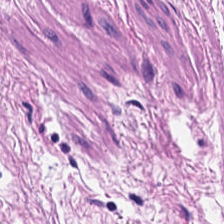WSI patch. Hematoxylin-and-eosin stained section — This patch shows smooth muscle.
